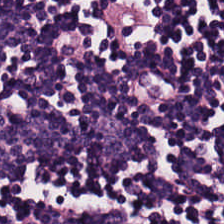Hematoxylin-and-eosin stained section. Lymphocytes.
